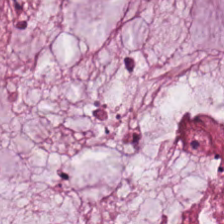H&E stain — Q: What type of tissue is this?
A: Mucin.
